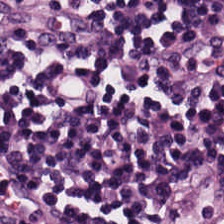FFPE tissue section; hematoxylin-and-eosin stained section — Tissue = lymphoid infiltrate.
